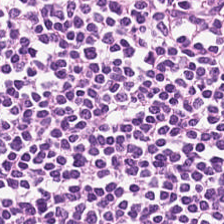Q: What is the predominant tissue type?
A: This is lymphocytes.
